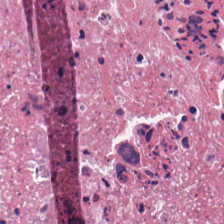Stain: hematoxylin-and-eosin stained section.
Tissue type: debris.
